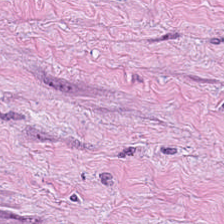Q: What does this patch show?
A: Cancer-associated stroma.
